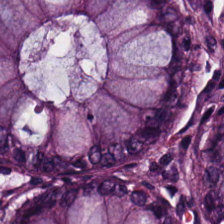H&E stain. Finding → non-neoplastic colon mucosa.
